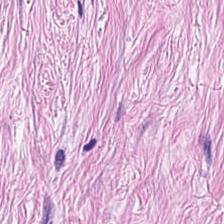Hematoxylin and eosin.
The tissue here is cancer-associated stroma.
